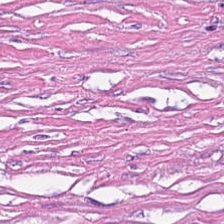H&E stain · WSI patch. Tissue class: tumor stroma.
